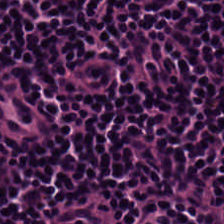Brightfield · H&E stain. Tissue class: lymphocyte aggregate.
